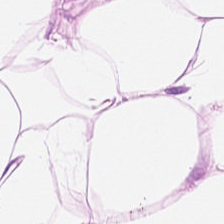Hematoxylin and eosin — Q: What is shown here?
A: The field shows adipocytes.
